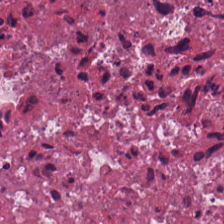FFPE. H&E-stained tissue section — This field is debris.
